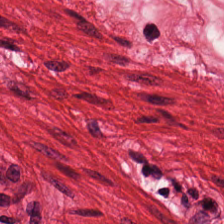Hematoxylin and eosin — Tissue type = smooth muscle.
